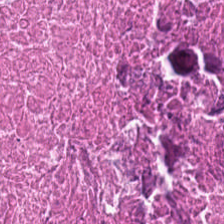H&E-stained tissue section — Q: Identify the tissue.
A: This is debris.
